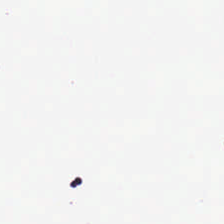Hematoxylin-and-eosin stained section. Formalin-fixed paraffin-embedded section. Q: What is shown here?
A: This is empty background.
